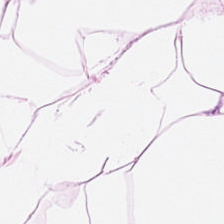FFPE · hematoxylin-and-eosin stained section — This field is adipose tissue.
